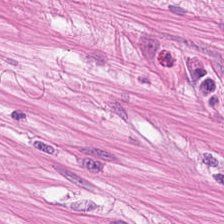H&E stain; whole-slide-image patch; 0.5 microns per pixel.
Impression — smooth muscle.
